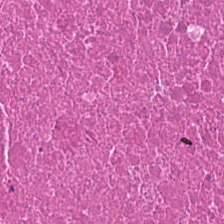Hematoxylin-and-eosin stained section — This field is necrotic debris.
